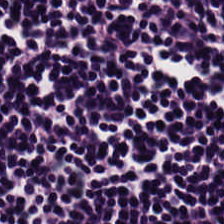Q: What is the predominant tissue type?
A: The field shows lymphocyte aggregate.
